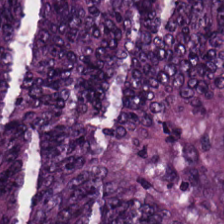Stain: H&E.
Tissue type: colorectal adenocarcinoma.
